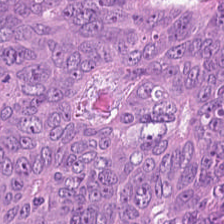H&E stain.
Tissue type = colorectal adenocarcinoma epithelium.
